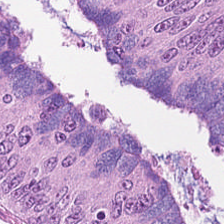Stain: H&E stain.
Preparation: FFPE.
Tissue class: colorectal adenocarcinoma epithelium.
